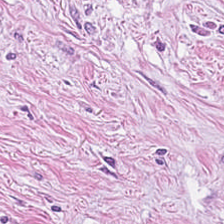H&E stain · FFPE · 0.5 µm/px — Showing tumor stroma.
